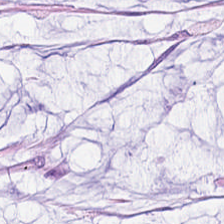H&E stain.
Predominantly mucin.
